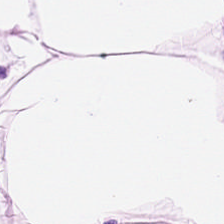H&E-stained tissue section.
Classification = adipose tissue.
